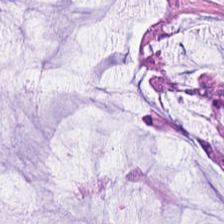FFPE tissue section; 0.5 µm/px; H&E stain.
Q: What type of tissue is this?
A: The field shows mucin.
